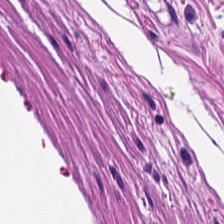FFPE tissue section. 224×224 px tile. H&E. Finding — smooth-muscle tissue.
